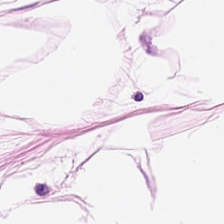H&E · FFPE.
Tissue class = adipocytes.
